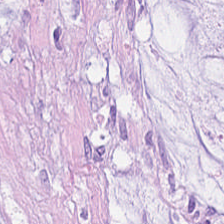FFPE tissue section; hematoxylin and eosin — Tissue type = mucus.
